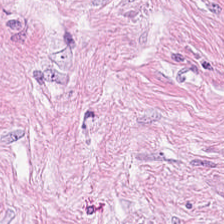224×224 px tile. Hematoxylin and eosin.
Predominantly tumor stroma.
